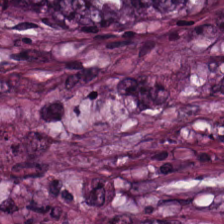Hematoxylin-and-eosin stained section. The predominant tissue is tumor epithelium.
